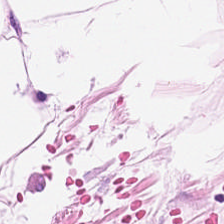H&E stain. The predominant tissue is adipose.
